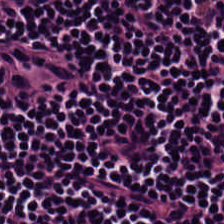Stain: hematoxylin-and-eosin stained section.
Resolution: 0.5 microns per pixel.
Tissue type: lymphoid infiltrate.
